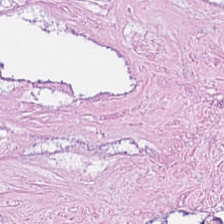Hematoxylin-and-eosin stained section. Classification — debris.
